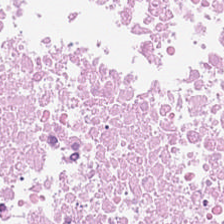WSI patch · hematoxylin-and-eosin stained section — Showing cellular debris.
